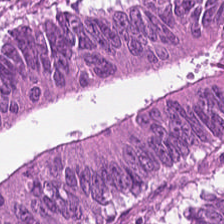Stain: H&E stain.
Tissue class: colorectal adenocarcinoma.
